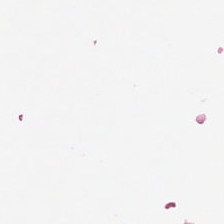Hematoxylin and eosin — Classification = background (no tissue).
